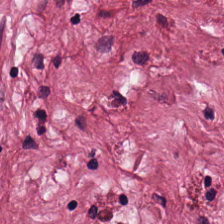This field is tumor stroma.
